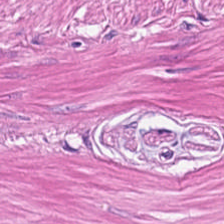Hematoxylin and eosin; 224×224 pixel tile.
Smooth-muscle tissue.
